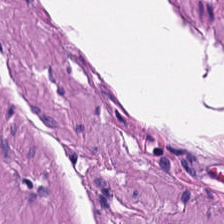Brightfield microscopy. H&E-stained tissue section.
{"tissue_type": "smooth-muscle tissue"}
